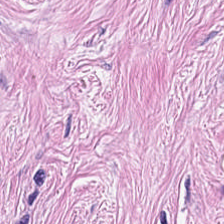H&E stain. Histology → tumor stroma.
